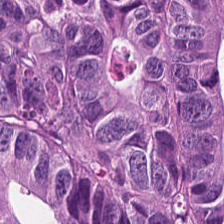H&E; FFPE tissue section.
The tissue here is malignant epithelium.
